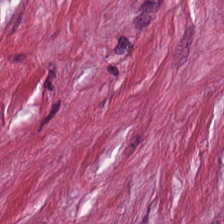Hematoxylin and eosin.
The tissue here is tumor-associated stroma.
